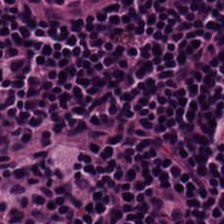H&E stain.
Showing lymphocyte aggregate.
